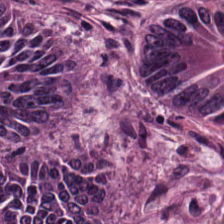Hematoxylin and eosin. Q: What is shown here?
A: Colorectal adenocarcinoma epithelium.
